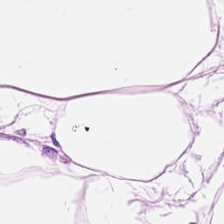H&E-stained tissue section; WSI patch — Tissue — fat tissue.
